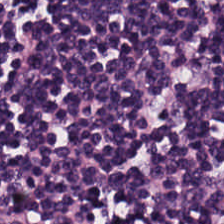Predominant tissue = lymphocyte aggregate.
